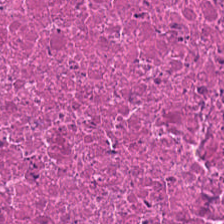Hematoxylin-and-eosin stained section. Tissue class — necrotic debris.
